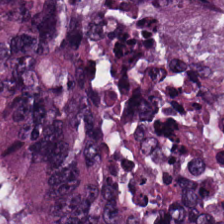Brightfield microscopy; H&E-stained tissue section; 0.5 µm per pixel. This field is tumor epithelium.
